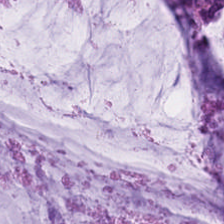Hematoxylin-and-eosin stained section. Brightfield — Predominantly mucin.
